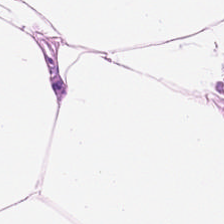Hematoxylin and eosin.
Predominantly adipose.
